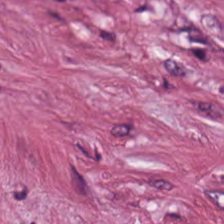Predominantly tumor stroma.
